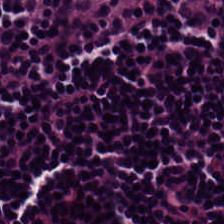Tissue: lymphocytic infiltrate.
